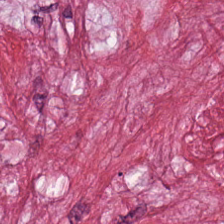Hematoxylin-and-eosin stained section — Predominantly cancer-associated stroma.
